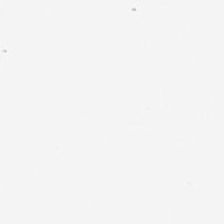FFPE · H&E stain — This field is background (no tissue).
